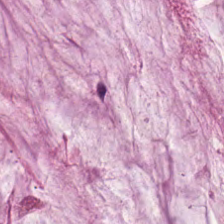Hematoxylin-and-eosin stained section · 20× equivalent magnification · 224×224 px patch. Predominantly extracellular mucin.
